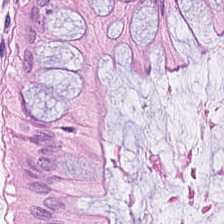Tissue: benign colonic mucosa.
